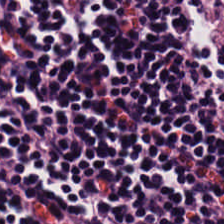Stain: H&E-stained tissue section.
Tissue type: lymphocyte aggregate.
